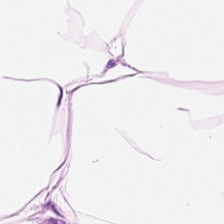Impression → adipose.
